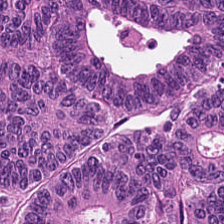Tissue — colorectal adenocarcinoma epithelium.
